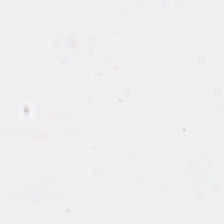Brightfield microscopy; H&E-stained tissue section; 0.5 µm per pixel. Content: background.
